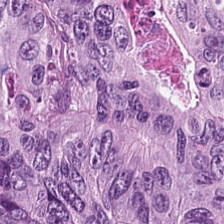H&E-stained tissue section.
The tissue here is colorectal adenocarcinoma epithelium.
